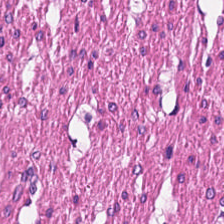Stain: H&E-stained tissue section.
Preparation: FFPE tissue section.
Predominant tissue: muscularis.
